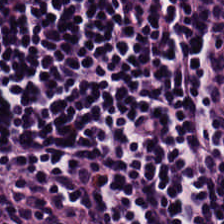H&E-stained tissue section.
Showing lymphoid infiltrate.
